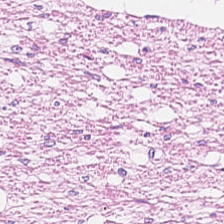20× equivalent magnification; H&E. This patch shows smooth muscle.
